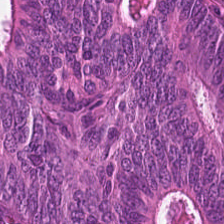Classification: colorectal adenocarcinoma.
